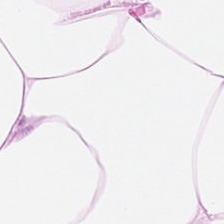Adipocytes.
